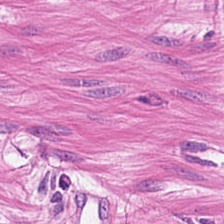H&E.
Q: What is shown in this field?
A: Smooth-muscle tissue.
